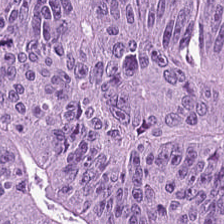Q: What is the predominant tissue type?
A: The field shows colorectal adenocarcinoma.
